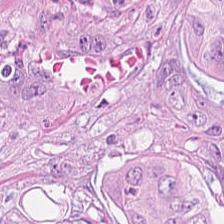Finding → tumor epithelium.
